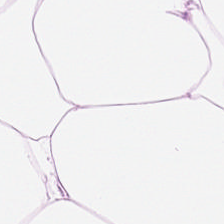Classification = adipose.
